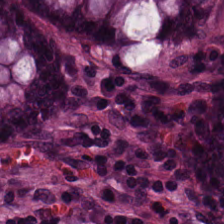0.5 µm/px; hematoxylin-and-eosin stained section; FFPE tissue section — Impression → non-neoplastic colon mucosa.
